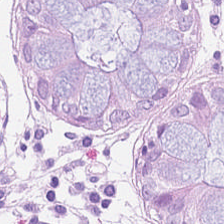{"tissue_type": "normal colonic mucosa"}
